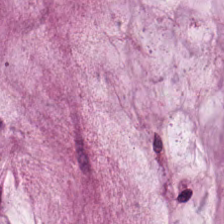20× equivalent magnification; formalin-fixed paraffin-embedded section; hematoxylin-and-eosin stained section — Extracellular mucin.
